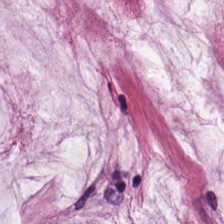Hematoxylin-and-eosin stained section; 224×224 px tile. Tissue = mucus.
